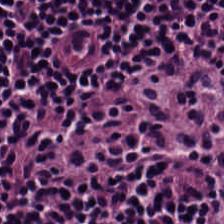Hematoxylin and eosin · 0.5 µm/px — Predominant tissue = lymphocytes.
